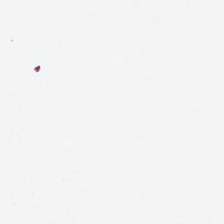H&E stain — This field is background (no tissue).
